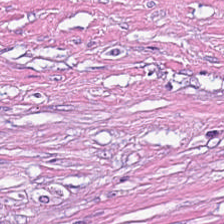Hematoxylin-and-eosin stained section — Tissue: tumor-associated stroma.
